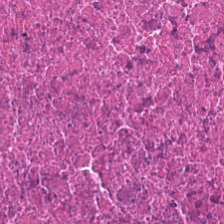Hematoxylin and eosin.
Necrotic debris.
